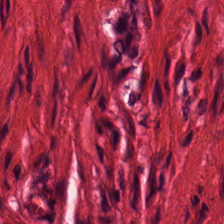Stain: H&E stain.
Resolution: 20× equivalent magnification.
Predominant tissue: smooth muscle.
